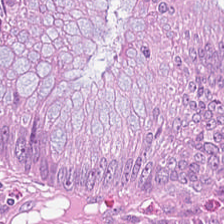Stain: hematoxylin-and-eosin stained section.
Predominant tissue: malignant epithelium.
